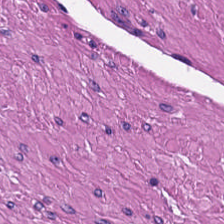H&E stain.
Tissue: smooth muscle.
